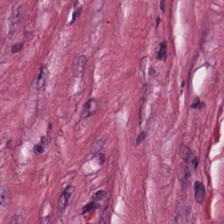H&E. 0.5 microns per pixel.
Q: What tissue is shown?
A: This is cancer-associated stroma.
